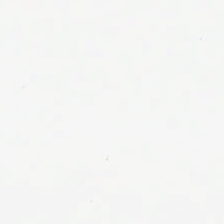H&E; formalin-fixed paraffin-embedded section — This patch shows no tissue.
